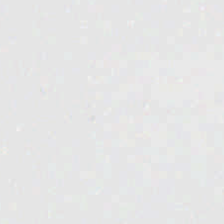Hematoxylin and eosin · brightfield.
This patch shows background.
